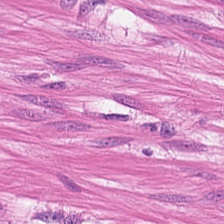H&E. Finding → muscularis.
